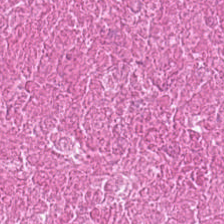H&E stain. 224×224 px tile.
{"tissue_type": "necrotic debris"}
